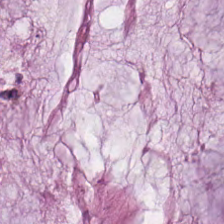H&E-stained tissue section showing mucin.
